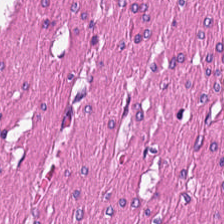H&E. Tissue type = muscularis.
